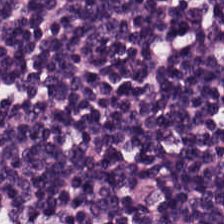Hematoxylin-and-eosin stained section. FFPE. {"tissue_type": "lymphocyte aggregate"}
